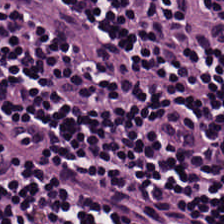H&E stain. Formalin-fixed paraffin-embedded section. Classification = lymphocyte aggregate.
